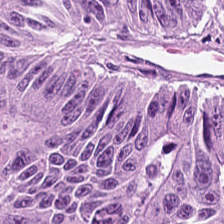Hematoxylin-and-eosin stained section — Q: Classify this patch.
A: It is colorectal adenocarcinoma.
